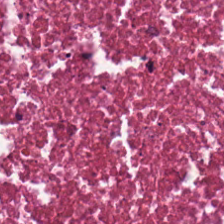H&E.
Predominant tissue = debris.
